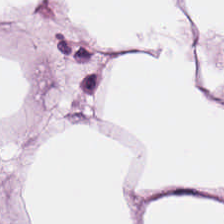Tissue: fat tissue.
